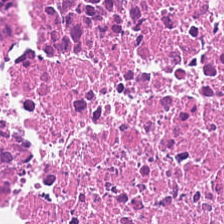H&E-stained tissue section. Q: What tissue type is shown here?
A: Necrotic debris.
